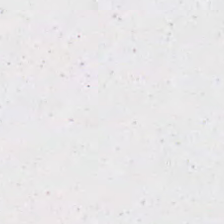Brightfield microscopy · hematoxylin-and-eosin stained section · 224×224 px tile.
No tissue present; background only.
